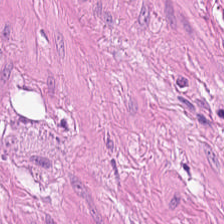0.5 µm/px. Formalin-fixed paraffin-embedded section. Hematoxylin and eosin — Q: What type of tissue is this?
A: The field shows smooth-muscle tissue.
